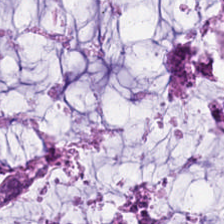Hematoxylin and eosin — Q: What is shown in this field?
A: The field shows extracellular mucin.
